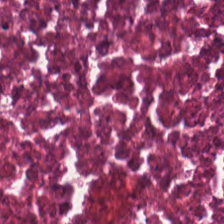20× equivalent magnification; H&E stain — Impression — necrotic debris.
